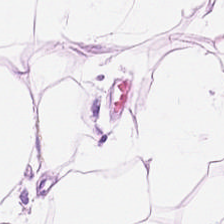Hematoxylin-and-eosin stained section — Predominantly fat tissue.
